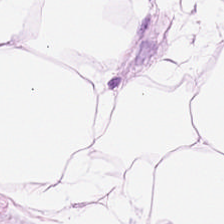H&E. Tissue class = adipose tissue.
